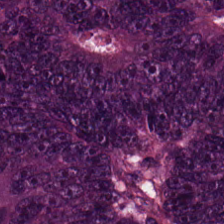Whole-slide-image patch · hematoxylin and eosin.
Histology — malignant epithelium.
